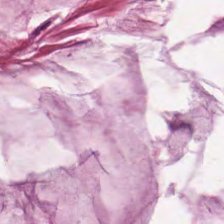H&E — Tissue — mucus.
